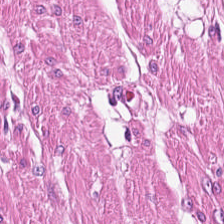H&E-stained tissue section. Showing smooth muscle.
